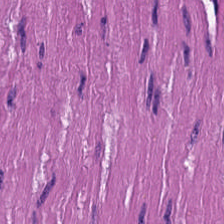H&E-stained tissue section — Muscularis.
